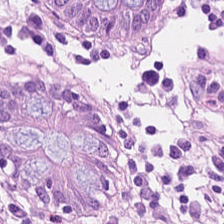Q: What is shown here?
A: The field shows non-neoplastic colon mucosa.
